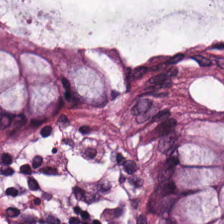H&E-stained tissue section · brightfield. Tissue = normal colonic mucosa.
